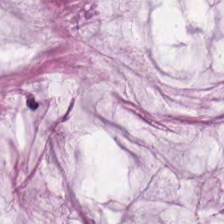The classification is mucus.
